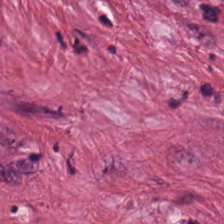Hematoxylin and eosin — This patch shows tumor-associated stroma.
